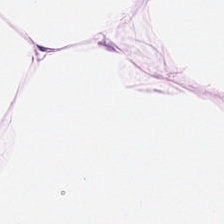Hematoxylin and eosin. Predominantly adipocytes.
